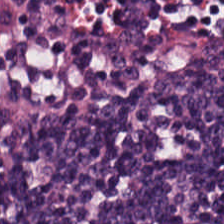Lymphocyte aggregate.
